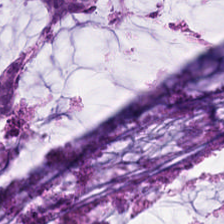Tissue type = mucus.
